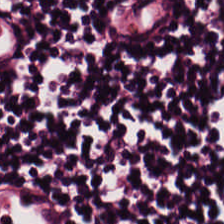224×224 pixel tile; H&E-stained tissue section; 0.5 µm/px. The tissue type is lymphoid infiltrate.
